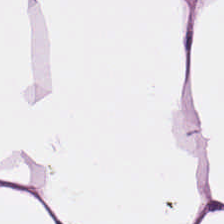The tissue class is fat tissue.
